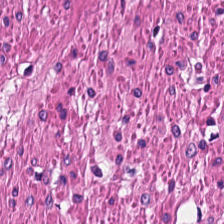H&E stain — Predominant tissue = smooth-muscle tissue.
